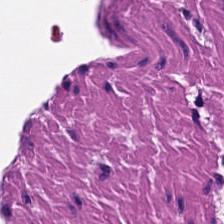0.5 µm per pixel; H&E-stained tissue section — Showing smooth muscle.
